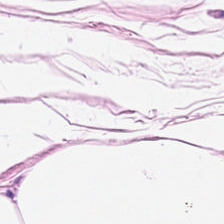Hematoxylin and eosin. WSI patch — Predominant tissue — adipose tissue.
